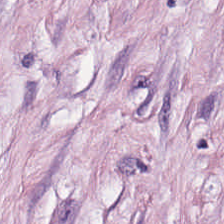Hematoxylin and eosin — The predominant tissue is tumor stroma.
